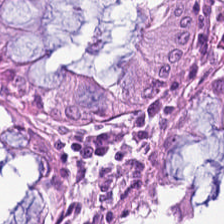Hematoxylin-and-eosin stained section — Finding → normal colon mucosa.
